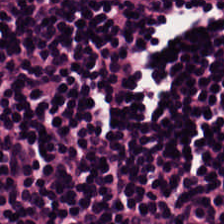FFPE · hematoxylin-and-eosin stained section — Classification: lymphocytic infiltrate.
